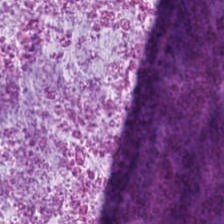Finding — extracellular mucin.
